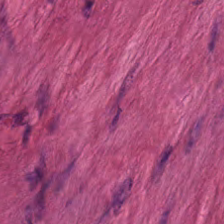{"tissue_type": "smooth-muscle tissue"}
